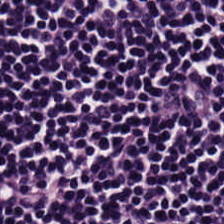The tissue type is lymphocytes.
